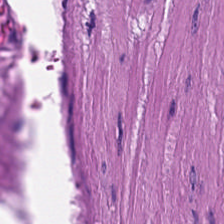WSI patch · hematoxylin and eosin — This field is smooth-muscle tissue.
